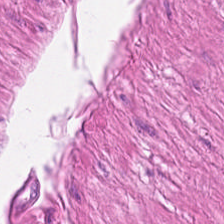This field is smooth-muscle tissue.
